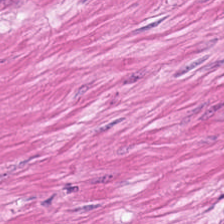Impression → smooth muscle.
